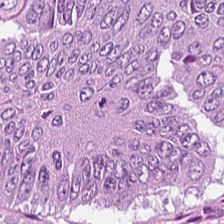0.5 µm per pixel; H&E-stained tissue section. This field is tumor epithelium.
